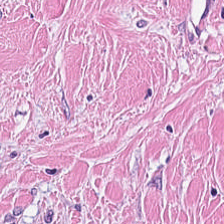H&E stain.
This field is cancer-associated stroma.
